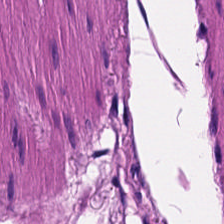Stain: H&E-stained tissue section.
Tissue class: smooth muscle.
